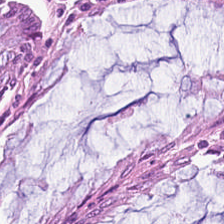Stain: H&E.
Tile size: 224×224 px tile.
Tissue: normal colon mucosa.
